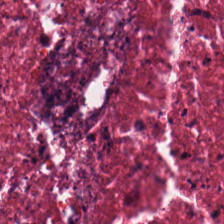H&E · formalin-fixed paraffin-embedded section · brightfield microscopy. Impression — debris.
